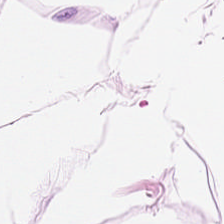Q: What tissue type is shown here?
A: It is adipose.
